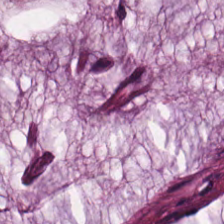20× equivalent magnification · hematoxylin-and-eosin stained section.
Q: What type of tissue is this?
A: The field shows extracellular mucin.
